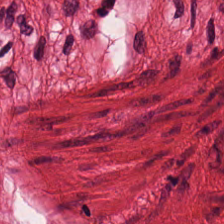H&E. Predominantly muscularis.
